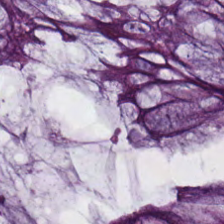H&E — The tissue class is non-neoplastic colon mucosa.
